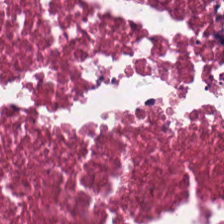H&E-stained tissue section — The tissue here is cellular debris.
